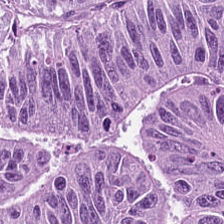Formalin-fixed paraffin-embedded section. H&E-stained tissue section — Finding — adenocarcinoma.
